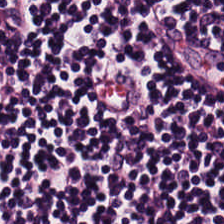Q: What is the predominant tissue type?
A: The field shows lymphocytes.
